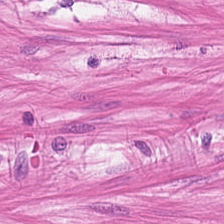Hematoxylin and eosin. This patch shows muscularis.
